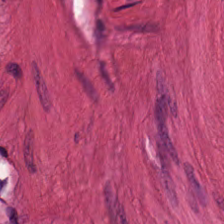Stain: hematoxylin and eosin.
Classification: muscularis.
